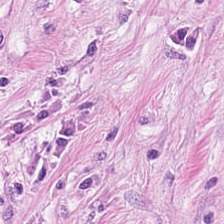Formalin-fixed paraffin-embedded section · hematoxylin and eosin.
Classification: cancer-associated stroma.
